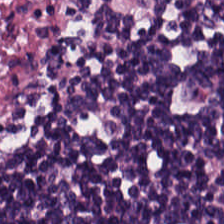Hematoxylin-and-eosin stained section. Classification = lymphocytic infiltrate.
